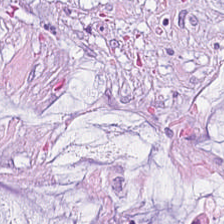H&E-stained tissue section; 224×224 pixel tile; brightfield. Showing mucus.
